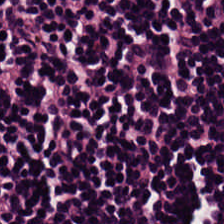Hematoxylin-and-eosin stained section.
Showing lymphocytic infiltrate.
